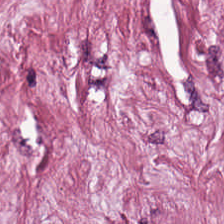H&E-stained tissue section. Brightfield microscopy. This patch shows tumor stroma.
